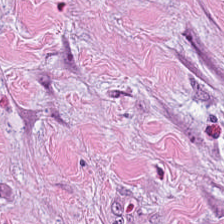224×224 pixel tile · 0.5 microns per pixel · H&E. The tissue here is desmoplastic stroma.
